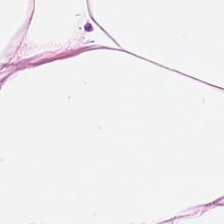H&E-stained tissue section. {"tissue_type": "adipocytes"}
